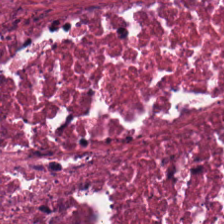H&E. Tissue: necrotic debris.
